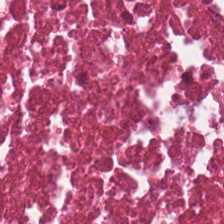Hematoxylin-and-eosin stained section · WSI patch · FFPE tissue section. Finding — necrotic debris.
